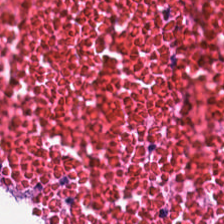Hematoxylin and eosin. Showing necrotic debris.
